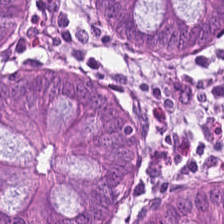Hematoxylin and eosin — Tissue class — normal colon mucosa.
